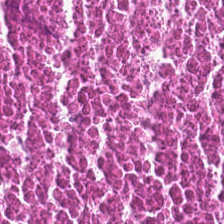H&E; 0.5 µm per pixel — Histology → necrotic debris.
